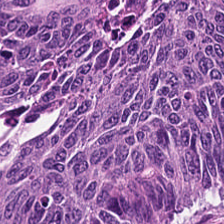H&E stain — Showing malignant epithelium.
